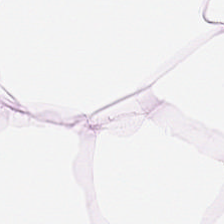Predominant tissue — adipose.
